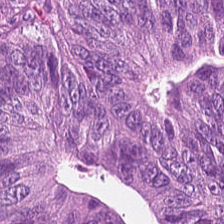FFPE · hematoxylin and eosin · 224×224 px tile. The tissue type is colorectal adenocarcinoma epithelium.
